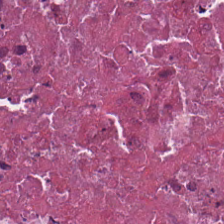Stain: hematoxylin-and-eosin stained section.
Classification: necrotic debris.
